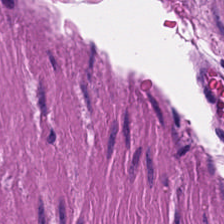Smooth muscle.
